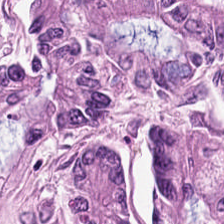Hematoxylin and eosin · 224×224 px patch.
This field is tumor epithelium.
